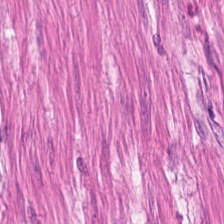H&E stain. WSI patch. Predominantly muscularis.
